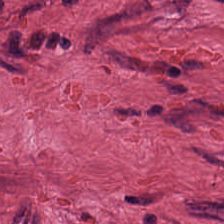0.5 microns per pixel · brightfield · H&E stain — Tissue class — cancer-associated stroma.
